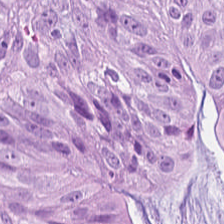Hematoxylin-and-eosin stained section. Predominantly colorectal adenocarcinoma.
